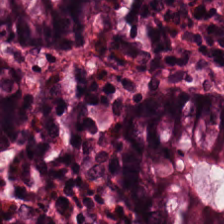H&E — benign colonic mucosa.
